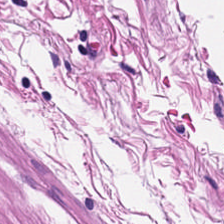H&E-stained tissue section. WSI patch. Finding — muscularis.
